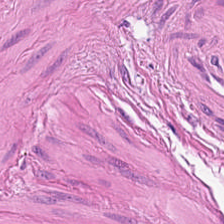Tissue type — smooth muscle.
